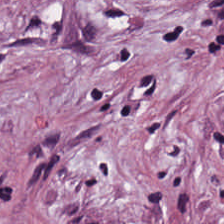Brightfield microscopy; hematoxylin and eosin. {"tissue_type": "cancer-associated stroma"}
